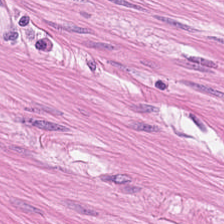H&E.
Histology → smooth muscle.
